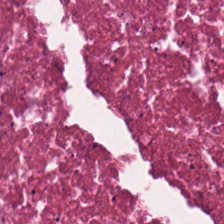Predominantly debris.
